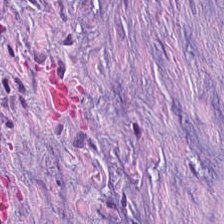H&E-stained tissue section. Tissue type = tumor stroma.
